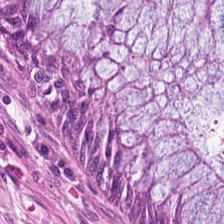Hematoxylin and eosin.
{"tissue_type": "normal colon mucosa"}
